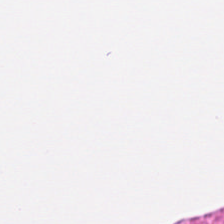Hematoxylin and eosin.
{"tissue_type": "muscularis"}
